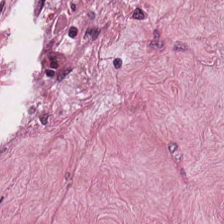H&E — Q: What tissue is shown?
A: It is desmoplastic stroma.
